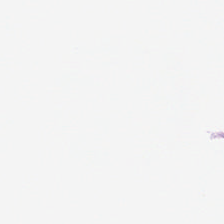224×224 pixel tile · H&E stain.
{"content": "background (no tissue)"}
